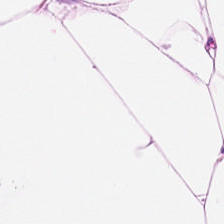H&E.
Predominantly fat tissue.
